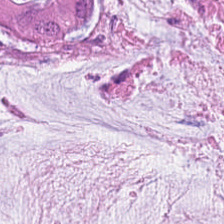H&E stain; WSI patch. Histology → mucus.
